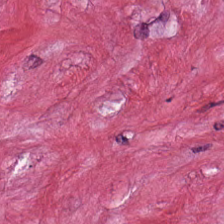Hematoxylin-and-eosin stained section.
This field is tumor stroma.
